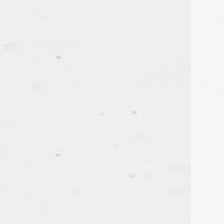H&E stain; WSI patch. Content: background.
